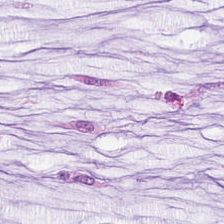Stain: hematoxylin and eosin.
Tissue class: mucus.
